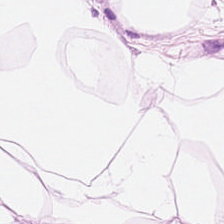Tissue type = adipocytes.
